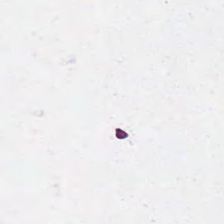224×224 px patch. Hematoxylin and eosin — Field content — background.
